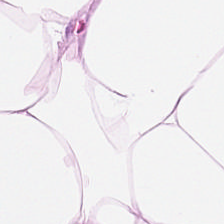H&E stain; 0.5 microns per pixel.
Tissue type — adipose tissue.
